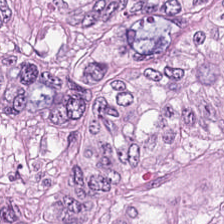224×224 pixel tile. Whole-slide-image patch. H&E-stained tissue section. The predominant tissue is adenocarcinoma.
